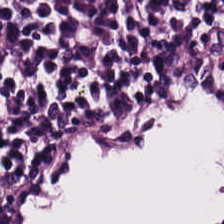H&E-stained tissue section · whole-slide-image patch.
This field is lymphocytes.
